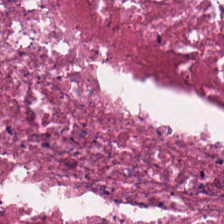Stain: hematoxylin and eosin.
Predominant tissue: debris.
